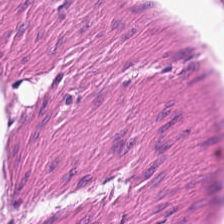Predominantly smooth-muscle tissue.
